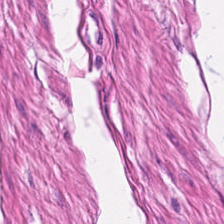Hematoxylin-and-eosin stained section; WSI patch.
Predominant tissue = muscularis.
